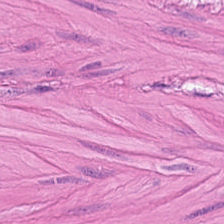Hematoxylin and eosin. Q: Identify the tissue.
A: This is smooth-muscle tissue.
